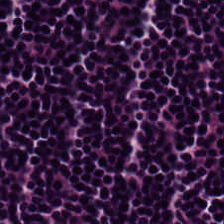H&E stain. Q: What tissue is shown?
A: It is lymphoid infiltrate.
